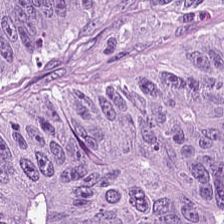Hematoxylin and eosin. This patch shows tumor epithelium.
